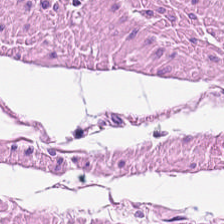Brightfield microscopy · hematoxylin-and-eosin stained section. Impression — smooth-muscle tissue.
